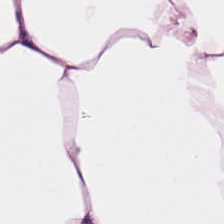Stain: H&E.
Predominant tissue: adipose.
